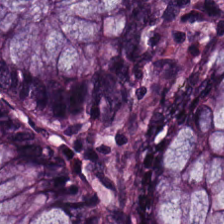Non-neoplastic colon mucosa.
